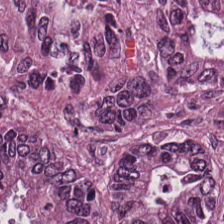WSI patch; H&E-stained tissue section.
Colorectal adenocarcinoma.
